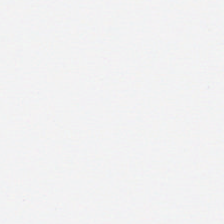Q: What is shown here?
A: This is background.
